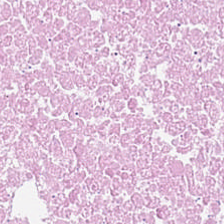H&E stain — Finding — cellular debris.
